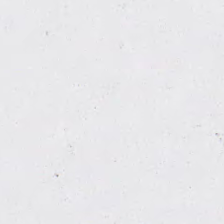Hematoxylin-and-eosin stained section.
This field is background (no tissue).
